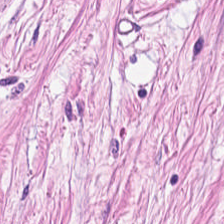0.5 microns per pixel · formalin-fixed paraffin-embedded section · H&E.
Cancer-associated stroma.
